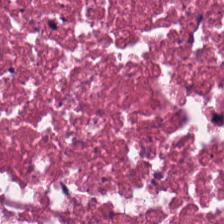Hematoxylin and eosin.
The tissue here is necrotic debris.
